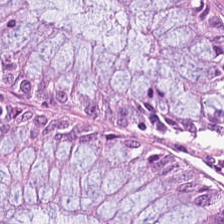H&E-stained tissue section showing normal colon mucosa.
